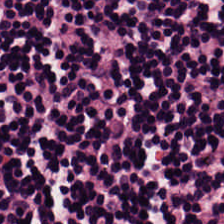Impression → lymphocyte aggregate.
